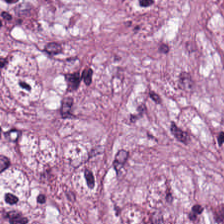Brightfield microscopy. Hematoxylin and eosin.
Classification = tumor-associated stroma.
